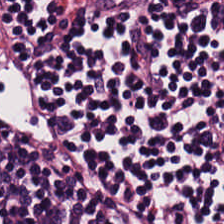Predominant tissue — lymphocyte aggregate.
